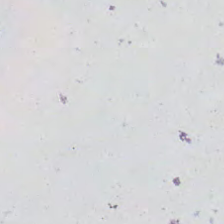Hematoxylin-and-eosin stained section. Q: Classify this patch.
A: The field shows empty background.
